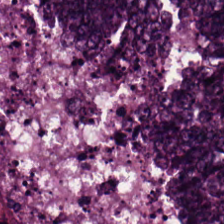0.5 µm per pixel. Hematoxylin and eosin. This field is malignant epithelium.
